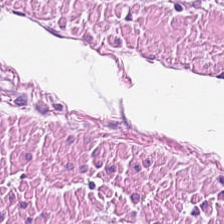Q: Classify this patch.
A: Muscularis.
